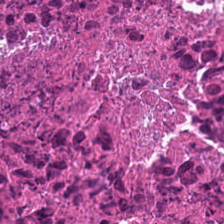H&E stain — The tissue class is necrotic debris.
